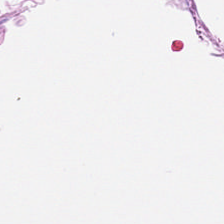Brightfield microscopy; hematoxylin-and-eosin stained section — The predominant tissue is muscularis.
